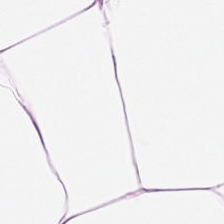Hematoxylin-and-eosin stained section; 224×224 px patch — Impression — fat tissue.
